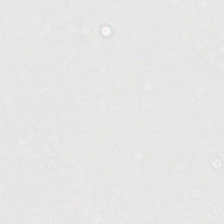H&E stain. Q: What is shown in this field?
A: This is no tissue.
